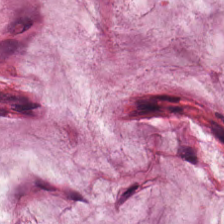Stain: hematoxylin-and-eosin stained section.
Acquisition: brightfield microscopy.
Predominant tissue: mucin.
